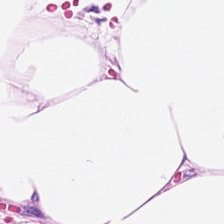Whole-slide-image patch; FFPE; hematoxylin-and-eosin stained section.
The tissue here is adipocytes.
